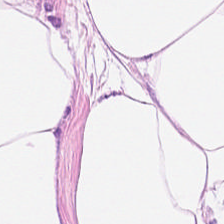H&E — This patch shows adipocytes.
